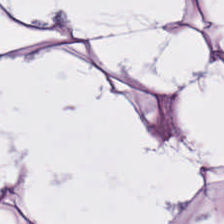H&E stain.
Finding → adipose.
